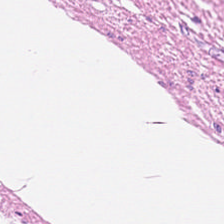H&E stain — This patch shows smooth-muscle tissue.
